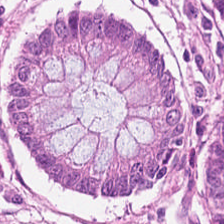Hematoxylin-and-eosin stained section. Histology — non-neoplastic colon mucosa.
